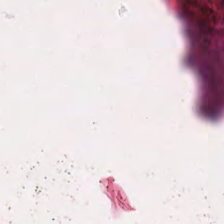H&E-stained tissue section. Tissue — debris.
